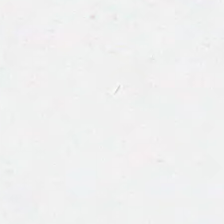Hematoxylin-and-eosin stained section · 224×224 pixel tile — Finding — no tissue.
